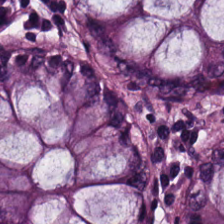0.5 µm per pixel · H&E-stained tissue section.
This field is normal colon mucosa.
